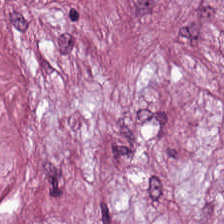H&E.
The tissue type is tumor stroma.
